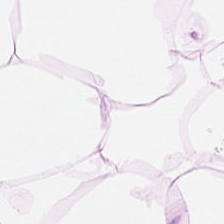H&E-stained tissue section.
Classification: adipocytes.
